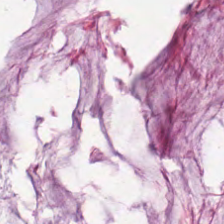H&E-stained tissue section — Tissue: mucin.
